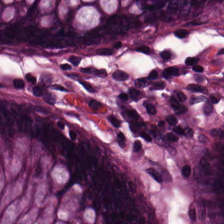Predominant tissue: normal colonic mucosa.
